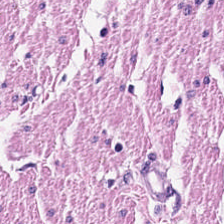Stain: hematoxylin-and-eosin stained section.
Classification: smooth muscle.
